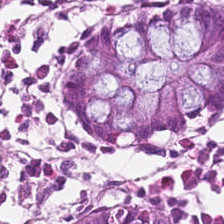Stain: hematoxylin-and-eosin stained section.
Resolution: 20× equivalent magnification.
Tissue type: benign colonic mucosa.
